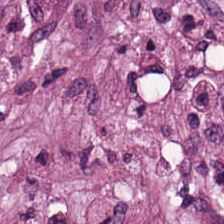0.5 µm per pixel. Brightfield. H&E-stained tissue section.
Tissue — desmoplastic stroma.
